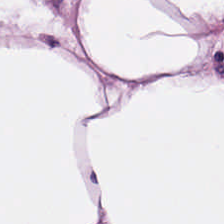Predominantly fat tissue.
